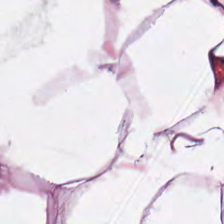WSI patch. H&E — The predominant tissue is adipocytes.
